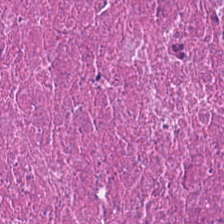Stain: hematoxylin-and-eosin stained section.
Preparation: FFPE.
Tissue class: cellular debris.
